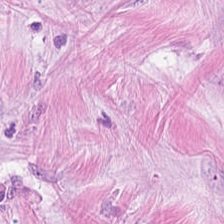Brightfield microscopy. Hematoxylin and eosin. Impression — tumor stroma.
